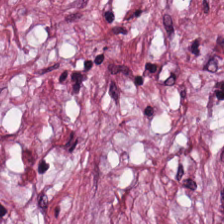H&E-stained tissue section. Q: What is shown here?
A: This is cancer-associated stroma.
